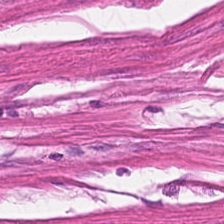Hematoxylin and eosin — {"tissue_type": "smooth muscle"}
